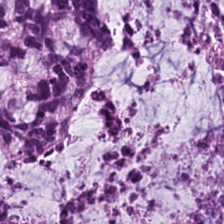Hematoxylin and eosin; 0.5 microns per pixel. Showing mucin.
